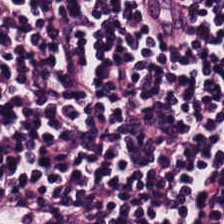Hematoxylin and eosin.
This patch shows lymphocytes.
